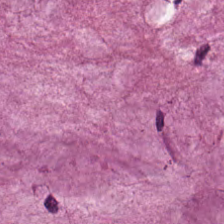H&E-stained tissue section · 0.5 µm per pixel · FFPE.
The tissue here is mucin.
